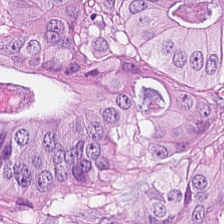Hematoxylin-and-eosin stained section — Q: Identify the tissue.
A: This is malignant epithelium.
